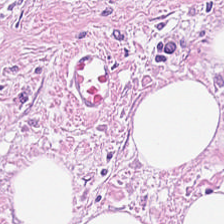224×224 px patch · hematoxylin and eosin — Predominant tissue — tumor-associated stroma.
